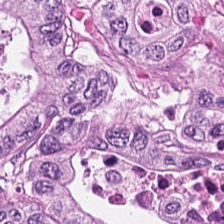Stain: H&E-stained tissue section.
Predominant tissue: tumor epithelium.
